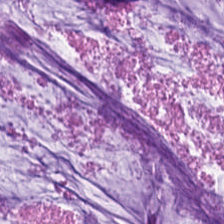Classification: mucin.
